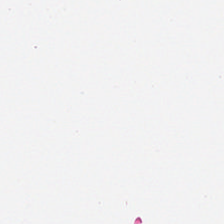Stain: H&E-stained tissue section.
Field content: empty background.
